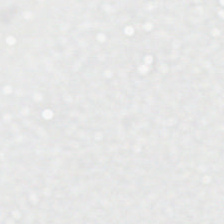H&E-stained tissue section. Histology — background.
